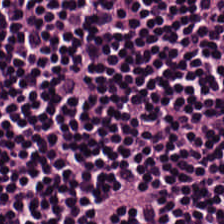H&E-stained tissue section. Tissue type: lymphocytes.
